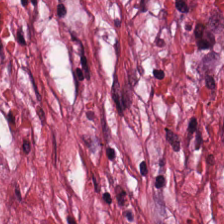Classification — desmoplastic stroma.
